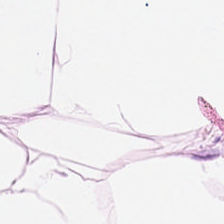FFPE tissue section. Hematoxylin and eosin. 0.5 microns per pixel.
Showing fat tissue.
